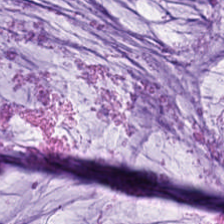H&E stain — This patch shows mucus.
